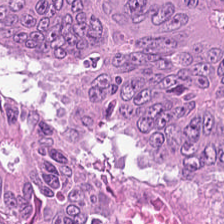H&E-stained tissue section — Predominant tissue = colorectal adenocarcinoma epithelium.
